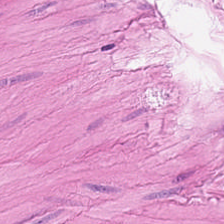H&E-stained tissue section; 224×224 px tile; FFPE tissue section — The classification is muscularis.
